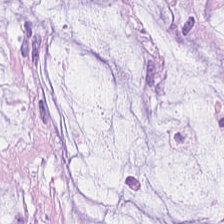{"tissue_type": "mucin"}
